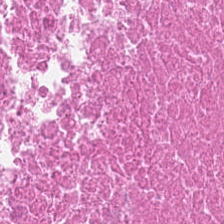H&E.
Predominant tissue = necrotic debris.
